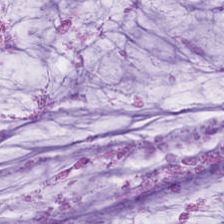Classification: extracellular mucin.
